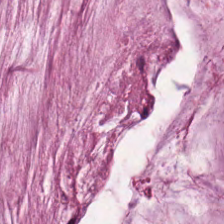H&E-stained tissue section · WSI patch — Mucin.
